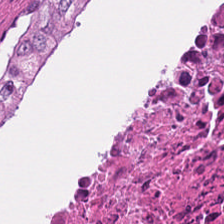Tissue = necrotic debris.
